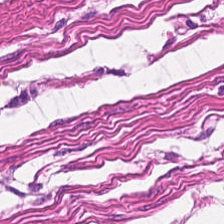Stain: H&E stain.
Tissue: smooth-muscle tissue.
